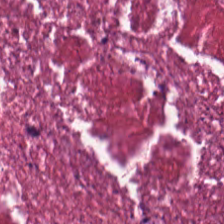Hematoxylin and eosin — Showing debris.
